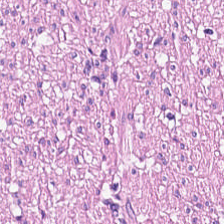Stain: H&E stain.
Tissue class: muscularis.
